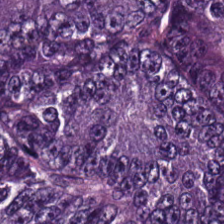H&E-stained tissue section; 224×224 px patch. Tissue — colorectal adenocarcinoma epithelium.
